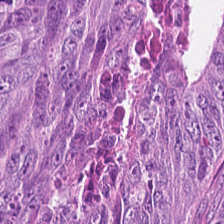Hematoxylin and eosin.
Showing tumor epithelium.
